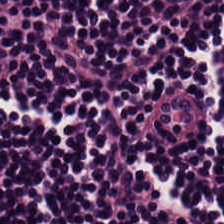H&E-stained tissue section showing lymphocytic infiltrate.
